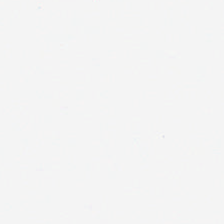Stain: hematoxylin-and-eosin stained section.
Acquisition: WSI patch.
Classification: empty background.
